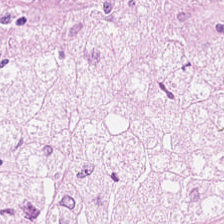H&E-stained section; the field shows tumor stroma.
